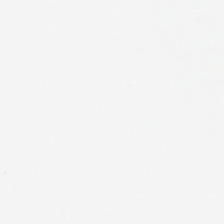Hematoxylin-and-eosin stained section. {"content": "background (no tissue)"}
